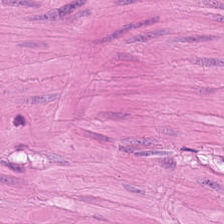H&E — Muscularis.
